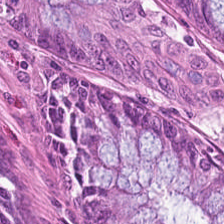224×224 pixel tile. H&E.
Tissue type: normal colonic mucosa.
